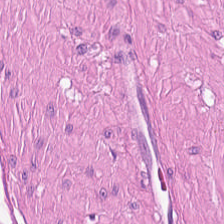H&E stain. 224×224 px patch. 0.5 microns per pixel. Q: What type of tissue is this?
A: The field shows smooth muscle.
